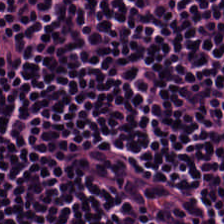224×224 px tile. FFPE. H&E. {"tissue_type": "lymphocytes"}
